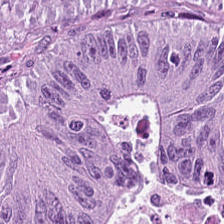Classification — colorectal adenocarcinoma epithelium.
